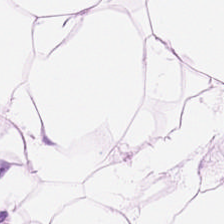Hematoxylin-and-eosin stained section. FFPE — Impression — adipocytes.
